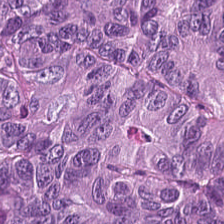224×224 pixel tile · hematoxylin and eosin · formalin-fixed paraffin-embedded section.
This patch shows colorectal adenocarcinoma.
